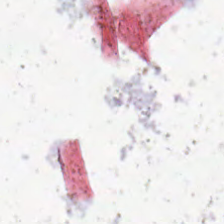This patch shows background.
